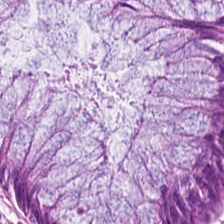Hematoxylin-and-eosin stained section. Showing normal colon mucosa.
